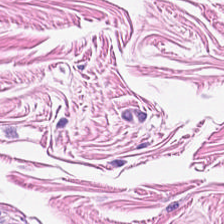H&E-stained tissue section · FFPE tissue section.
Tissue class — smooth-muscle tissue.
